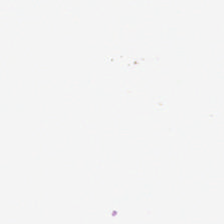Content = background.
